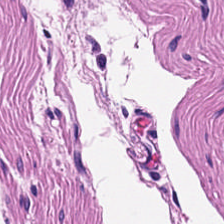Stain: H&E.
Tissue type: smooth muscle.
